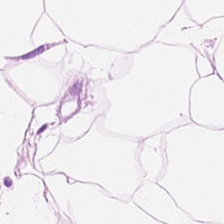Stain: hematoxylin and eosin.
Tissue type: adipose tissue.
